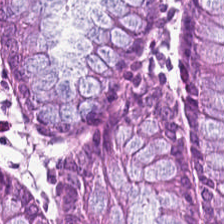Hematoxylin-and-eosin stained section — Histology → benign colonic mucosa.
